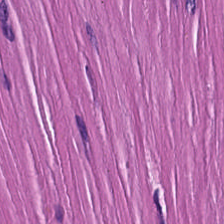Hematoxylin and eosin. WSI patch. 0.5 µm/px. The tissue here is muscularis.
